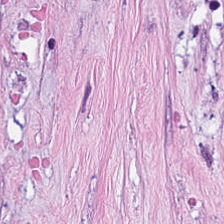Brightfield. H&E — This patch shows tumor stroma.
